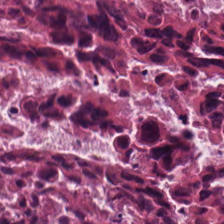Hematoxylin-and-eosin stained section. Classification — necrotic debris.
